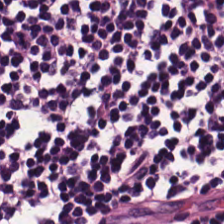Finding — lymphocytes.
